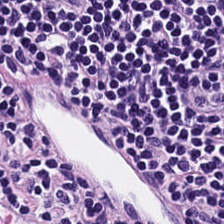Brightfield microscopy; H&E stain; 20× equivalent magnification — Predominantly lymphocytes.
